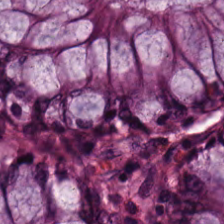H&E stain.
Non-neoplastic colon mucosa.
